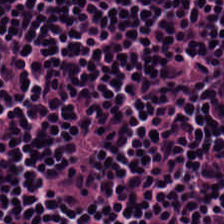H&E stain · FFPE tissue section. Q: What tissue type is shown here?
A: The field shows lymphocyte aggregate.
